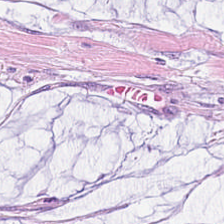Stain: H&E stain.
Resolution: 0.5 µm per pixel.
Classification: extracellular mucin.
